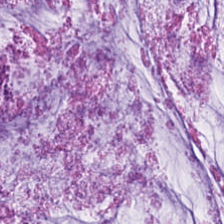Stain: H&E stain.
Tissue: extracellular mucin.
